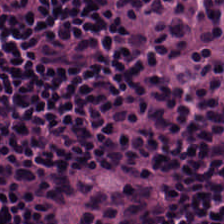Predominantly lymphocyte aggregate.
